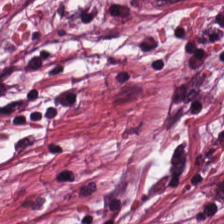H&E.
Predominantly cancer-associated stroma.
